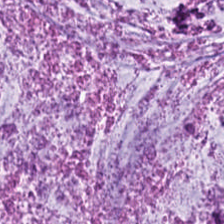Hematoxylin-and-eosin stained section. Extracellular mucin.
